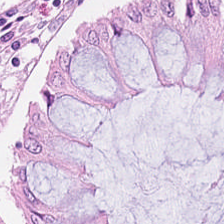H&E — Q: What tissue type is shown here?
A: Normal colonic mucosa.
